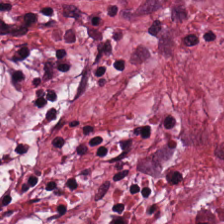Hematoxylin and eosin. Formalin-fixed paraffin-embedded section. 0.5 µm per pixel.
Q: What type of tissue is this?
A: It is cancer-associated stroma.
